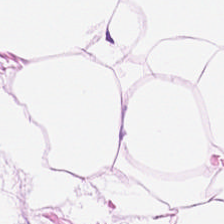224×224 pixel tile. H&E. Showing adipose tissue.
